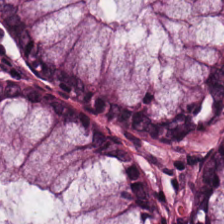224×224 px tile. H&E stain — Tissue type — normal colonic mucosa.
